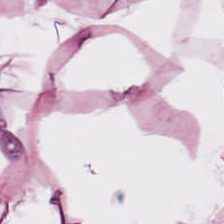H&E-stained tissue section. Finding → adipocytes.
